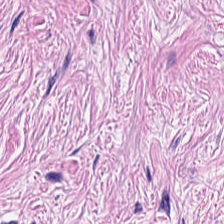H&E stain; 0.5 microns per pixel — The tissue here is tumor-associated stroma.
